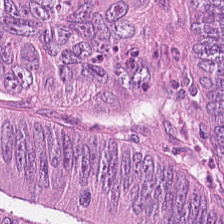FFPE · H&E · 224×224 px patch. The tissue here is tumor epithelium.
